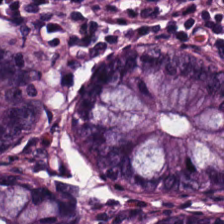H&E patch showing normal colonic mucosa.
